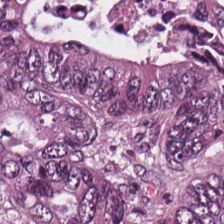Finding — tumor epithelium.
